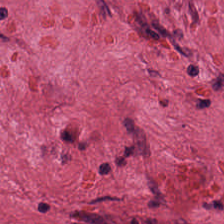Stain: hematoxylin-and-eosin stained section.
Acquisition: whole-slide-image patch.
Predominant tissue: tumor stroma.
